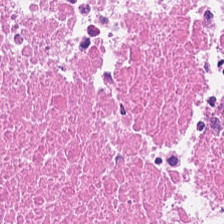Hematoxylin and eosin · 224×224 px patch. The predominant tissue is necrotic debris.
